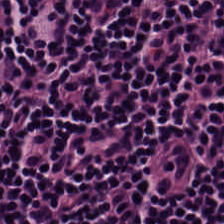Formalin-fixed paraffin-embedded section · H&E-stained tissue section — The tissue class is lymphocytic infiltrate.
